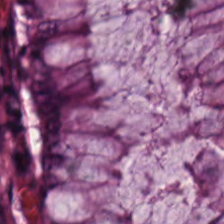Hematoxylin-and-eosin stained section · 224×224 pixel tile — Q: What is shown in this field?
A: This is benign colonic mucosa.
